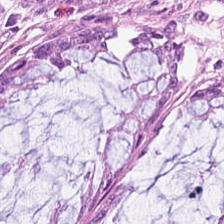Stain: H&E stain.
Tissue class: normal colon mucosa.
